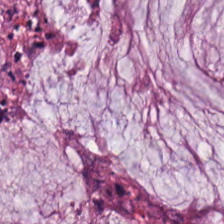Stain: H&E stain.
Predominant tissue: mucin.
